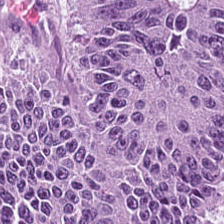Hematoxylin and eosin.
Tissue = colorectal adenocarcinoma epithelium.
